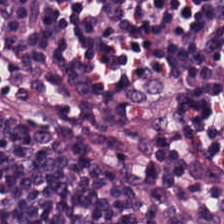Hematoxylin-and-eosin stained section. 0.5 microns per pixel — Q: Classify this patch.
A: The field shows lymphocyte aggregate.
